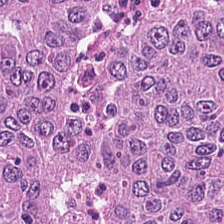Stain: H&E-stained tissue section.
Tissue type: tumor epithelium.
